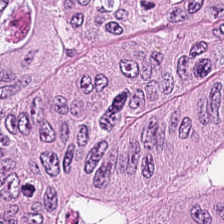Classification — colorectal adenocarcinoma epithelium.
